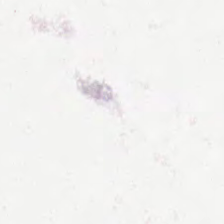H&E-stained tissue section; 0.5 µm per pixel — Q: What is shown here?
A: This is no tissue.
